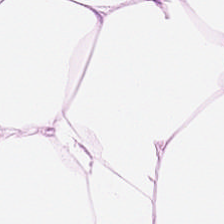H&E · 0.5 µm/px · 224×224 px patch — The tissue class is adipocytes.
